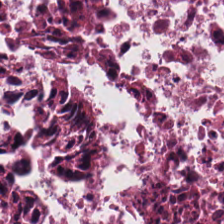H&E-stained tissue section. 224×224 px patch. Formalin-fixed paraffin-embedded section.
This field is debris.
